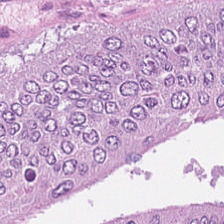H&E stain — Histology — colorectal adenocarcinoma.
